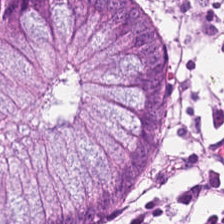Hematoxylin-and-eosin stained section — The predominant tissue is normal colonic mucosa.
